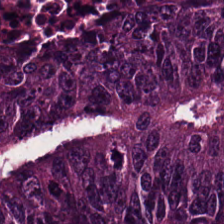Brightfield microscopy; H&E stain. Finding → colorectal adenocarcinoma.
